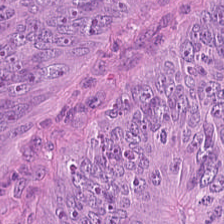The tissue class is colorectal adenocarcinoma epithelium.
